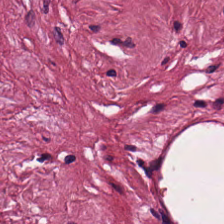Hematoxylin and eosin.
Tissue type: cancer-associated stroma.
